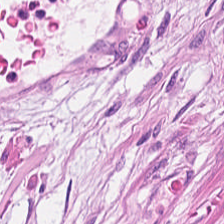Hematoxylin and eosin.
Classification: muscularis.
